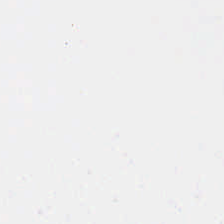0.5 microns per pixel; 224×224 pixel tile; H&E — The content is background (no tissue).
